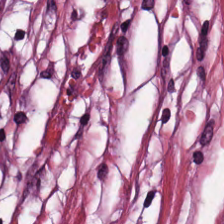Hematoxylin and eosin; 224×224 px patch.
This patch shows cancer-associated stroma.
